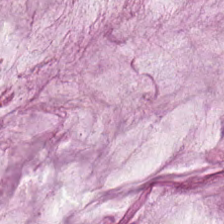H&E. Brightfield microscopy. 224×224 pixel tile.
Mucin.
